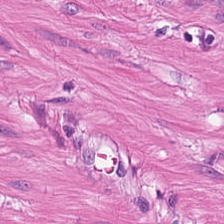224×224 px patch · hematoxylin-and-eosin stained section · formalin-fixed paraffin-embedded section. Predominantly smooth-muscle tissue.
